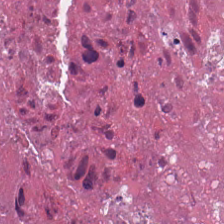Stain: hematoxylin and eosin.
Tissue: necrotic debris.
